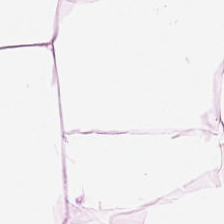Brightfield; H&E — This patch shows adipocytes.
